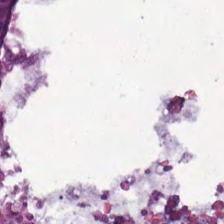H&E stain · 224×224 pixel tile.
Tissue class: colorectal adenocarcinoma.
